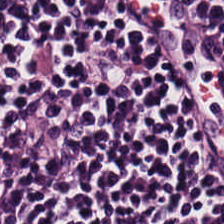Formalin-fixed paraffin-embedded section · H&E stain.
Lymphoid infiltrate.
